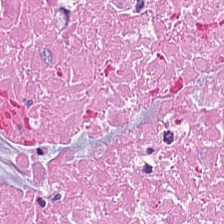FFPE; hematoxylin and eosin. Q: What tissue type is shown here?
A: Necrotic debris.
